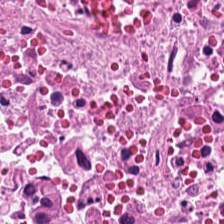H&E. Formalin-fixed paraffin-embedded section. Finding → cellular debris.
